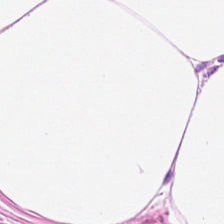H&E stain. 0.5 microns per pixel. Formalin-fixed paraffin-embedded section — Showing adipose tissue.
